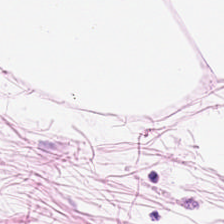Hematoxylin and eosin; formalin-fixed paraffin-embedded section.
Q: What is shown in this field?
A: Fat tissue.
